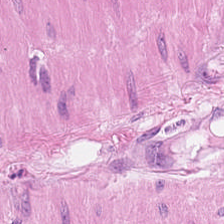Hematoxylin and eosin. Q: Classify this patch.
A: This is smooth muscle.
